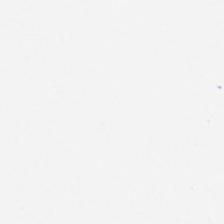H&E · 224×224 px tile.
Q: What does this patch show?
A: It is adipose.
